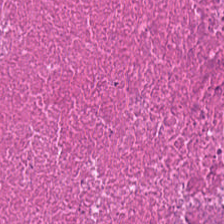H&E stain — Finding → cellular debris.
